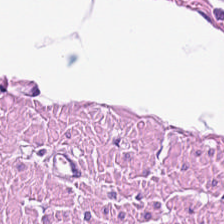WSI patch · hematoxylin-and-eosin stained section. Finding → smooth muscle.
